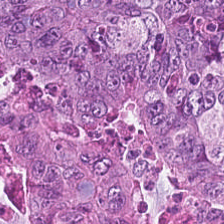H&E-stained tissue section. FFPE.
This field is malignant epithelium.
